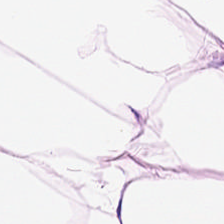H&E stain.
Adipose.
